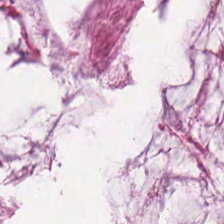Hematoxylin and eosin. 0.5 µm/px. FFPE tissue section.
Q: What is shown in this field?
A: The field shows mucus.
